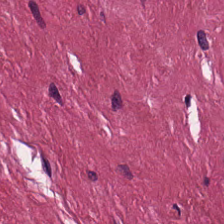H&E stain. FFPE tissue section. The tissue here is tumor-associated stroma.
